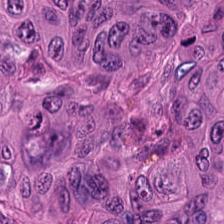Q: What is shown here?
A: Colorectal adenocarcinoma.
